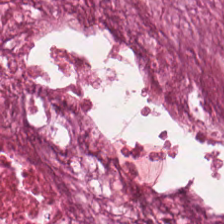Hematoxylin-and-eosin stained section.
This patch shows necrotic debris.
